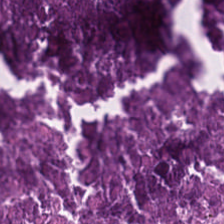Hematoxylin-and-eosin stained section. Q: Identify the tissue.
A: It is cellular debris.
